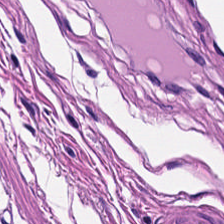H&E.
Smooth-muscle tissue.
